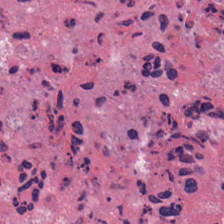H&E stain. Impression → necrotic debris.
